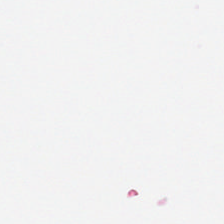Stain: hematoxylin-and-eosin stained section.
Field content: background.
